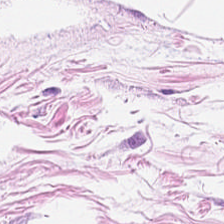224×224 px patch. Hematoxylin-and-eosin stained section. Brightfield — Predominantly adipocytes.
